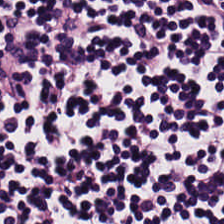Hematoxylin and eosin — Histology — lymphoid infiltrate.
